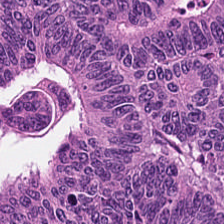The tissue here is tumor epithelium.
